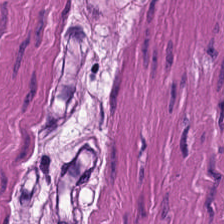Hematoxylin and eosin. Brightfield microscopy. 224×224 pixel tile. Finding → muscularis.
